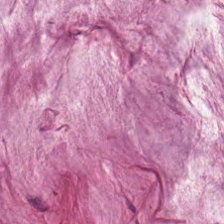H&E stain — Mucin.
